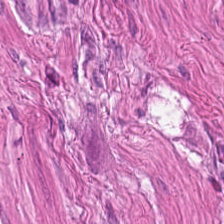FFPE; H&E — Q: What is shown in this field?
A: Muscularis.
